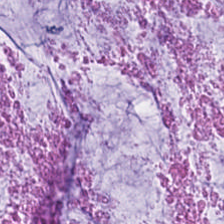Hematoxylin and eosin; FFPE; brightfield microscopy.
Tissue: mucin.
